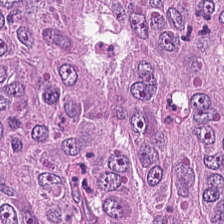H&E.
The predominant tissue is tumor epithelium.
